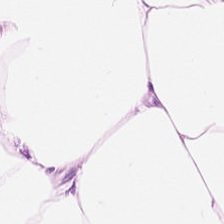H&E stain.
Predominantly fat tissue.
